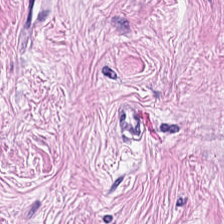H&E-stained tissue section. Tissue class = tumor stroma.
